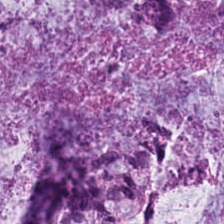H&E-stained tissue section.
This field is extracellular mucin.
